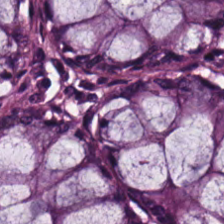Hematoxylin and eosin. Formalin-fixed paraffin-embedded section.
Q: What tissue type is shown here?
A: It is normal colonic mucosa.
